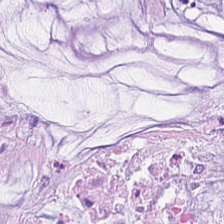Hematoxylin and eosin; 224×224 pixel tile.
Mucin.
